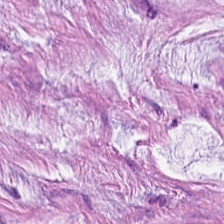Hematoxylin and eosin — Impression → mucus.
